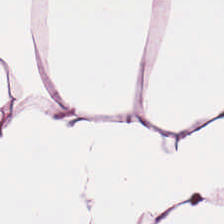Stain: H&E-stained tissue section.
Tile size: 224×224 px tile.
Tissue class: adipocytes.
